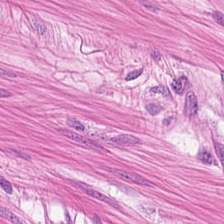Hematoxylin and eosin — Tissue type — smooth-muscle tissue.
